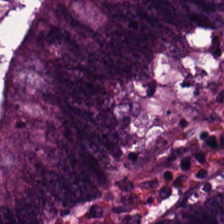H&E — Impression → malignant epithelium.
